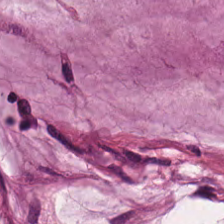H&E-stained tissue section.
The predominant tissue is mucus.
